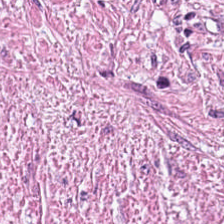Tumor stroma.
